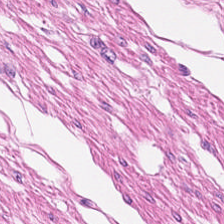Smooth muscle.
